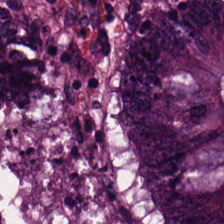20× equivalent magnification; H&E stain; FFPE. Q: What type of tissue is this?
A: The field shows adenocarcinoma.
